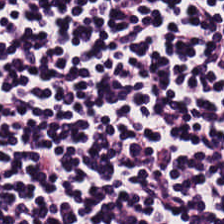Whole-slide-image patch; hematoxylin and eosin; 224×224 px patch.
Tissue — lymphoid infiltrate.
